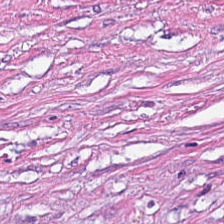Hematoxylin-and-eosin stained section; formalin-fixed paraffin-embedded section.
Tissue — tumor-associated stroma.
